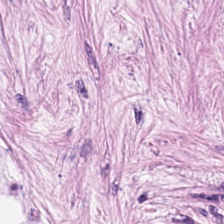The tissue type is desmoplastic stroma.
